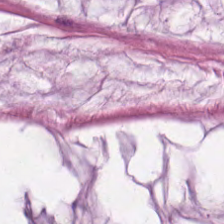Stain: H&E-stained tissue section.
Resolution: 0.5 µm per pixel.
Preparation: formalin-fixed paraffin-embedded section.
Predominant tissue: mucin.
